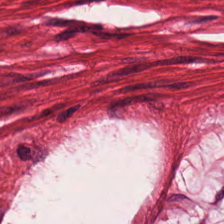Q: What is shown in this field?
A: Smooth muscle.
